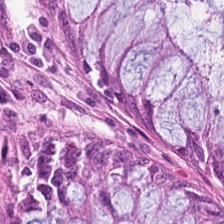Stain: H&E-stained tissue section.
Tissue: benign colonic mucosa.
